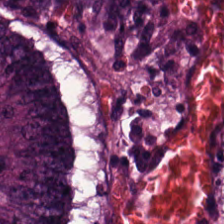Hematoxylin and eosin · FFPE. Predominantly tumor epithelium.
